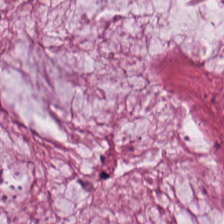H&E.
Showing mucin.
